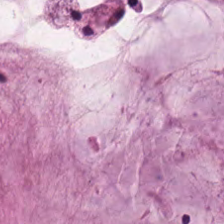Formalin-fixed paraffin-embedded section; hematoxylin and eosin. The tissue here is mucin.
